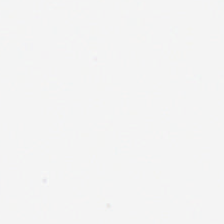H&E-stained tissue section. Empty background.
